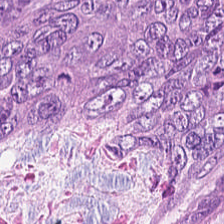H&E stain. The tissue here is colorectal adenocarcinoma epithelium.
